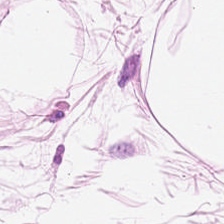Hematoxylin-and-eosin stained section; FFPE. This field is adipose tissue.
